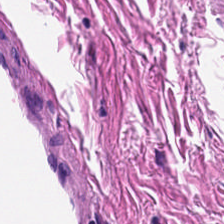Hematoxylin-and-eosin stained section. Muscularis.
